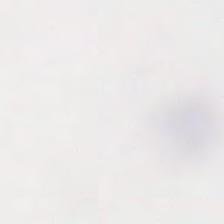H&E stain.
No tissue present; background only.
